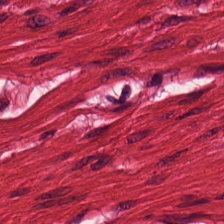Stain: H&E stain.
Tissue type: smooth muscle.
